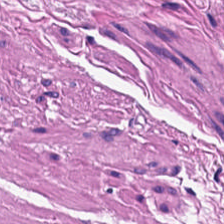Hematoxylin-and-eosin stained section — Impression → smooth muscle.
